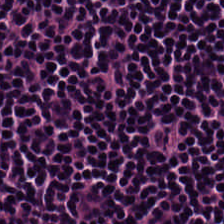This patch shows lymphocytes.
